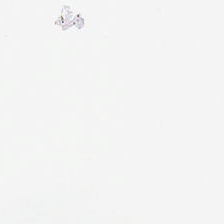Whole-slide-image patch · hematoxylin and eosin.
Impression — no tissue.
